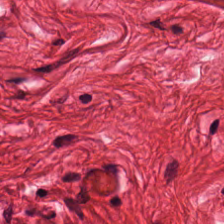Finding — smooth-muscle tissue.
